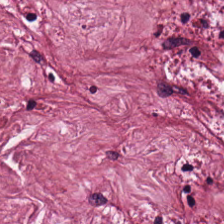Hematoxylin-and-eosin stained section.
Q: What is the predominant tissue type?
A: It is tumor stroma.
